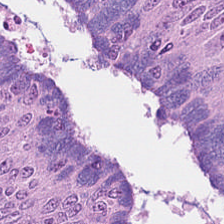Stain: hematoxylin and eosin.
Tissue type: malignant epithelium.
